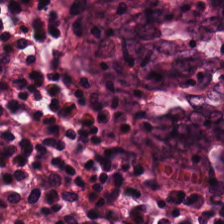H&E-stained tissue section.
This patch shows normal colon mucosa.
